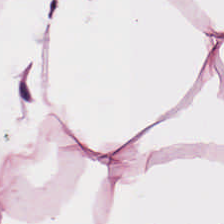H&E-stained tissue section. Brightfield — This field is adipose.
